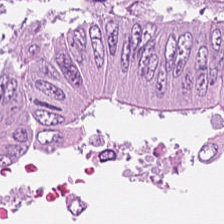H&E stain. Q: What is the predominant tissue type?
A: The field shows colorectal adenocarcinoma epithelium.
